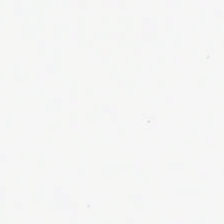H&E-stained tissue section. 224×224 pixel tile. Formalin-fixed paraffin-embedded section.
The field content is no tissue.
